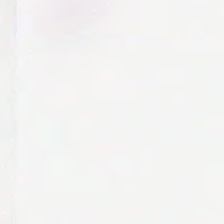Hematoxylin and eosin.
{"content": "empty background"}
